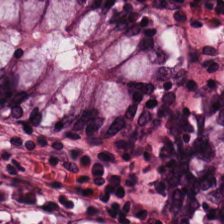Predominant tissue: benign colonic mucosa.
